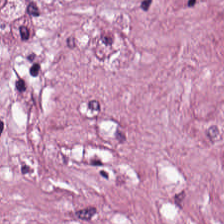0.5 microns per pixel; hematoxylin-and-eosin stained section; formalin-fixed paraffin-embedded section.
{"tissue_type": "cancer-associated stroma"}
